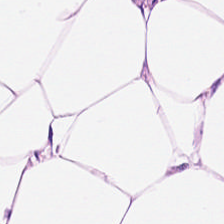Hematoxylin and eosin.
Tissue class: adipose tissue.
